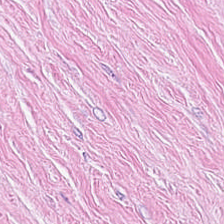H&E; brightfield microscopy — This patch shows tumor stroma.
